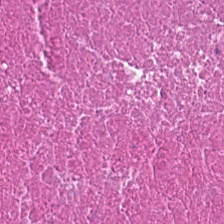Tissue — cellular debris.
